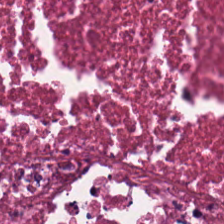H&E-stained tissue section.
Predominantly cellular debris.
